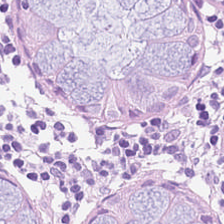H&E stain. Q: What does this patch show?
A: Normal colon mucosa.
